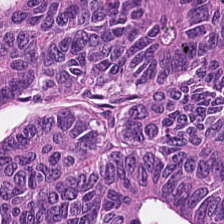0.5 µm per pixel. H&E. The tissue type is malignant epithelium.
